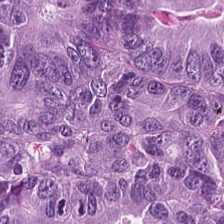Stain: hematoxylin-and-eosin stained section.
Preparation: FFPE tissue section.
Acquisition: whole-slide-image patch.
Classification: colorectal adenocarcinoma epithelium.
